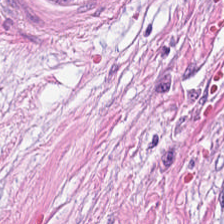H&E-stained section; the field shows tumor-associated stroma.
